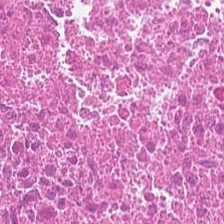224×224 px patch; brightfield microscopy; H&E — Q: What tissue is shown?
A: It is cellular debris.
